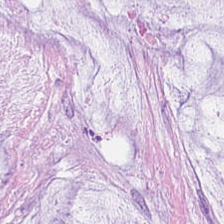The tissue here is mucin.
